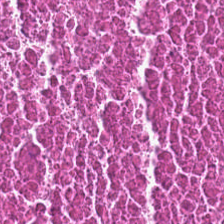H&E-stained tissue section. Brightfield. FFPE.
This field is debris.
